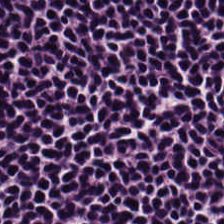Histology — lymphocyte aggregate.
